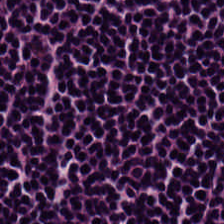FFPE tissue section. WSI patch. H&E stain.
Lymphoid infiltrate.
